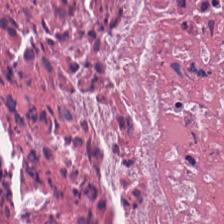20× equivalent magnification; hematoxylin and eosin. Tissue — debris.
